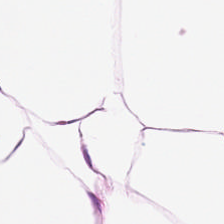H&E stain. {"tissue_type": "adipocytes"}
